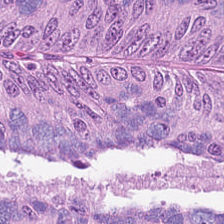H&E. Predominant tissue — adenocarcinoma.
